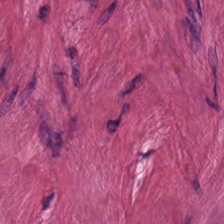Hematoxylin-and-eosin stained section · brightfield.
Finding → smooth-muscle tissue.
